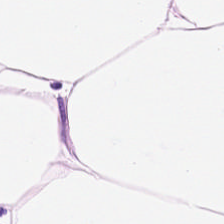Stain: H&E.
Tissue type: adipocytes.
